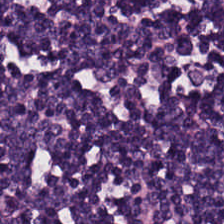Hematoxylin and eosin; formalin-fixed paraffin-embedded section — Q: What is shown here?
A: The field shows lymphocyte aggregate.
